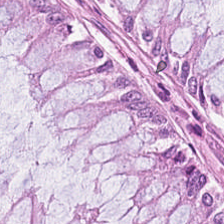224×224 px patch · H&E. Q: What is shown in this field?
A: The field shows normal colon mucosa.
